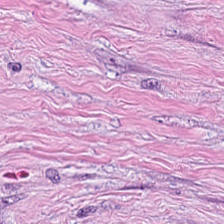20× equivalent magnification. Hematoxylin-and-eosin stained section — The predominant tissue is tumor stroma.
